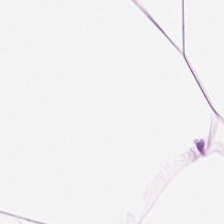224×224 px patch. 20× equivalent magnification. Hematoxylin and eosin. Classification — adipose.
